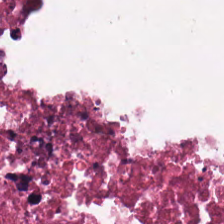H&E. 224×224 px patch. Whole-slide-image patch. {"tissue_type": "debris"}
